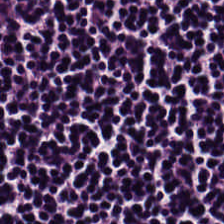Q: Identify the tissue.
A: Lymphocytic infiltrate.
